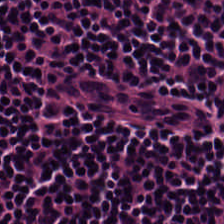H&E stain.
This field is lymphocytic infiltrate.
